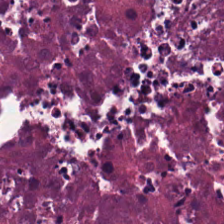Hematoxylin-and-eosin stained section.
The tissue here is debris.
